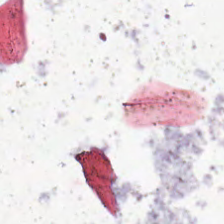Stain: hematoxylin and eosin.
Resolution: 0.5 microns per pixel.
Content: no tissue.
